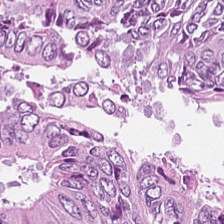H&E stain — Showing tumor epithelium.
